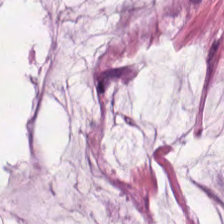0.5 microns per pixel. Hematoxylin and eosin. The predominant tissue is mucin.
